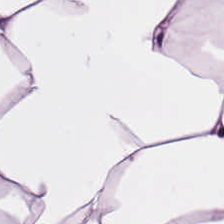H&E stain.
The tissue class is fat tissue.
